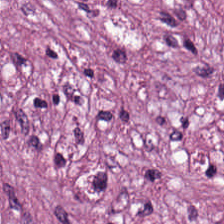Stain: H&E.
Resolution: 20× equivalent magnification.
Predominant tissue: cancer-associated stroma.
